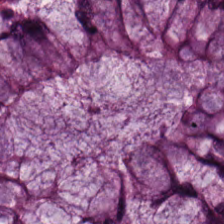WSI patch; hematoxylin-and-eosin stained section.
Tissue type: non-neoplastic colon mucosa.
